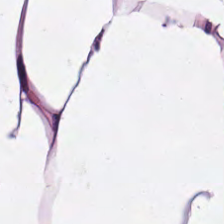Hematoxylin-and-eosin stained section; FFPE — This field is fat tissue.
